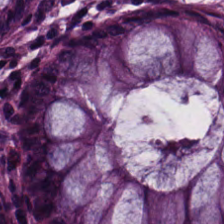Showing non-neoplastic colon mucosa.
